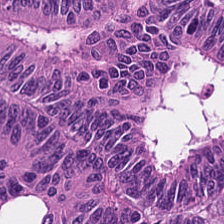Hematoxylin-and-eosin stained section. This field is malignant epithelium.
